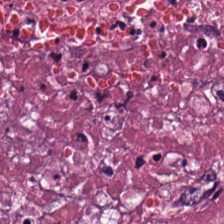Hematoxylin-and-eosin stained section; 0.5 µm/px; WSI patch — This field is debris.
